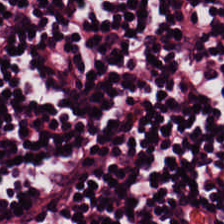Hematoxylin and eosin. 224×224 px patch.
Showing lymphoid infiltrate.
